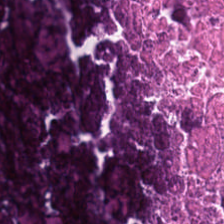Hematoxylin-and-eosin stained section — Classification: cellular debris.
